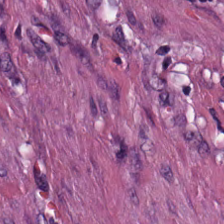Hematoxylin and eosin — Q: What tissue is shown?
A: The field shows cancer-associated stroma.
